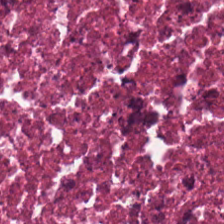Necrotic debris.
